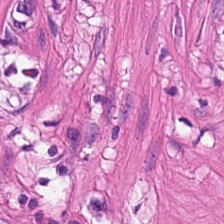H&E-stained tissue section. The predominant tissue is muscularis.
